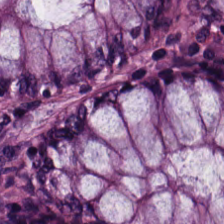Hematoxylin and eosin. Impression → benign colonic mucosa.
